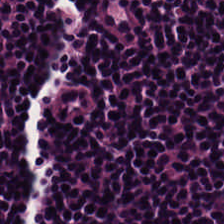Stain: hematoxylin-and-eosin stained section.
Tissue: lymphocytes.
